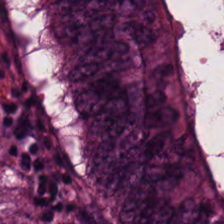Hematoxylin-and-eosin stained section.
The tissue type is colorectal adenocarcinoma.
